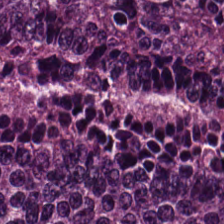H&E.
Tumor epithelium.
